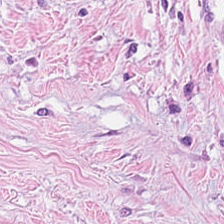Q: What does this patch show?
A: It is tumor stroma.
